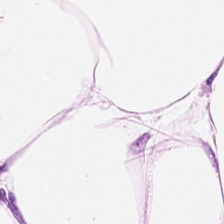H&E stain. Formalin-fixed paraffin-embedded section.
This patch shows fat tissue.
